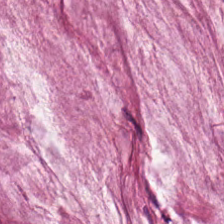H&E stain. Mucin.
